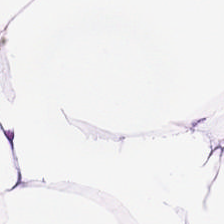Hematoxylin and eosin. Q: Classify this patch.
A: Adipocytes.
